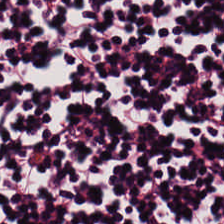Tissue type = lymphocytes.
